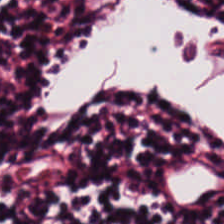FFPE; H&E stain.
Q: What tissue is shown?
A: Lymphocytes.
